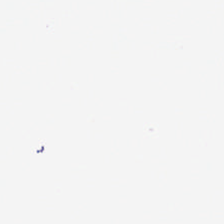The field content is no tissue.
